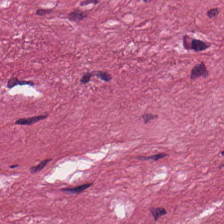Hematoxylin-and-eosin stained section; 224×224 pixel tile; formalin-fixed paraffin-embedded section. The tissue is cancer-associated stroma.
